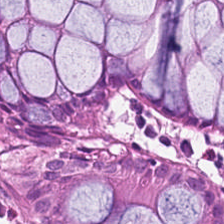H&E stain — Tissue class: non-neoplastic colon mucosa.
